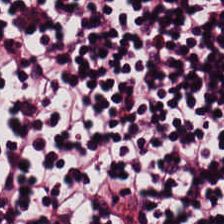Hematoxylin-and-eosin stained section. {"tissue_type": "lymphoid infiltrate"}
